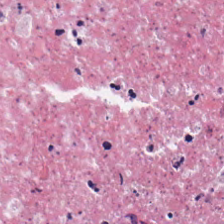Stain: H&E stain.
Resolution: 0.5 µm per pixel.
Tile size: 224×224 px tile.
Classification: debris.
